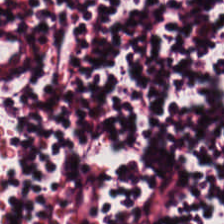H&E-stained tissue section. This field is lymphoid infiltrate.
